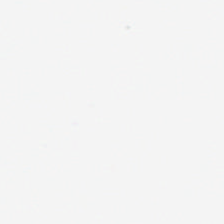H&E stain — Field content = background (no tissue).
